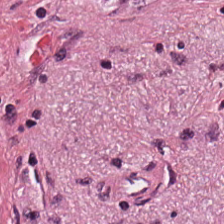Hematoxylin-and-eosin stained section.
Tissue type — cancer-associated stroma.
